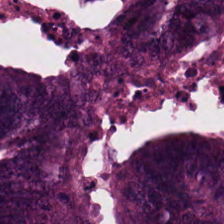224×224 px patch. Hematoxylin and eosin.
The predominant tissue is malignant epithelium.
